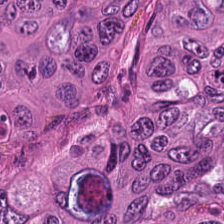Predominant tissue — malignant epithelium.
